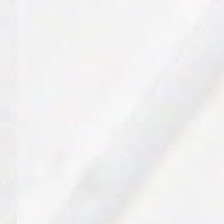Stain: hematoxylin-and-eosin stained section.
Classification: background (no tissue).
